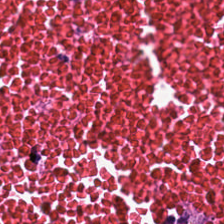H&E stain. {"tissue_type": "debris"}
